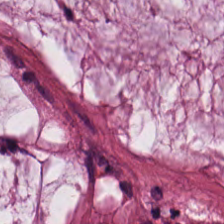224×224 pixel tile. Hematoxylin-and-eosin stained section — Q: What type of tissue is this?
A: The field shows extracellular mucin.
